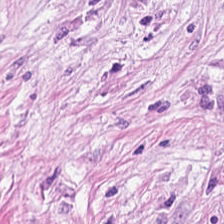H&E-stained tissue section; formalin-fixed paraffin-embedded section.
Tumor stroma.
